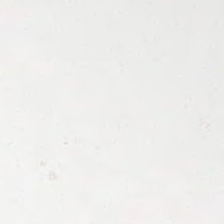Hematoxylin-and-eosin stained section; FFPE tissue section.
Content = background.
